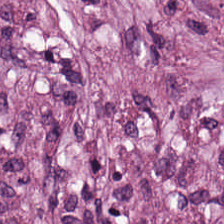Predominant tissue = desmoplastic stroma.
